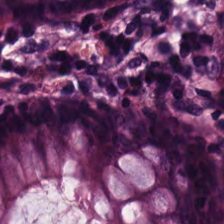H&E stain. Q: What tissue type is shown here?
A: Normal colon mucosa.
